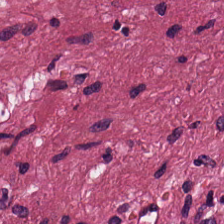Showing tumor stroma.
